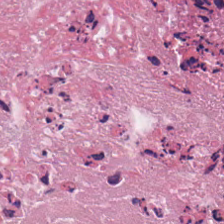H&E stain. Formalin-fixed paraffin-embedded section.
Tissue — cellular debris.
